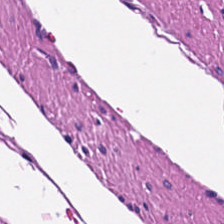Hematoxylin-and-eosin stained section — Smooth-muscle tissue.
